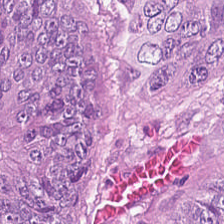H&E-stained tissue section — Q: What is shown here?
A: The field shows tumor epithelium.
